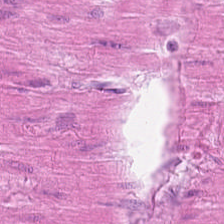H&E-stained tissue section. Classification: muscularis.
